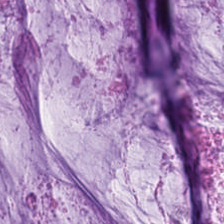Stain: hematoxylin and eosin.
Resolution: 0.5 µm/px.
Tissue: mucus.
